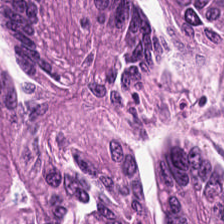Q: What does this patch show?
A: This is colorectal adenocarcinoma epithelium.
